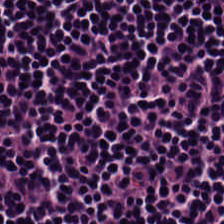Whole-slide-image patch. Formalin-fixed paraffin-embedded section. H&E. Finding → lymphocyte aggregate.
